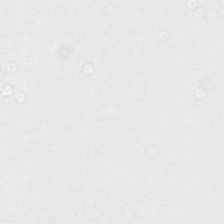224×224 px tile; hematoxylin-and-eosin stained section — Q: What is shown in this field?
A: This is background.
